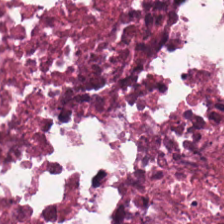H&E · whole-slide-image patch. {"tissue_type": "cellular debris"}
